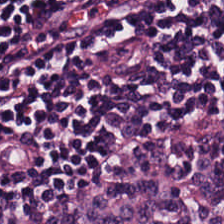H&E stain. The tissue here is lymphocytic infiltrate.
